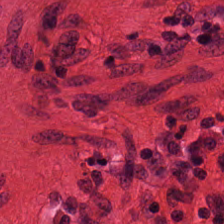H&E stain. Tissue: muscularis.
